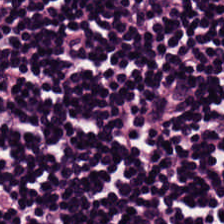Whole-slide-image patch · FFPE · hematoxylin and eosin.
Showing lymphocytic infiltrate.
